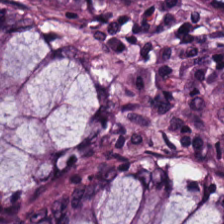Hematoxylin-and-eosin stained section.
Q: What is shown in this field?
A: Normal colonic mucosa.
